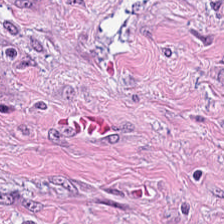H&E.
This field is tumor-associated stroma.
